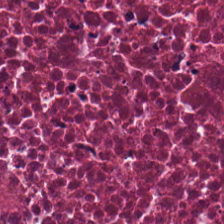H&E patch showing cellular debris.
